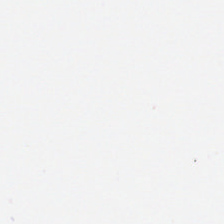224×224 px tile · H&E stain — Classification — empty background.
